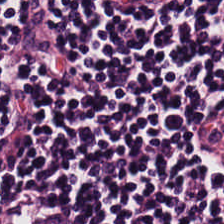Hematoxylin and eosin. FFPE. Brightfield microscopy. Q: What is shown here?
A: The field shows lymphocytes.
